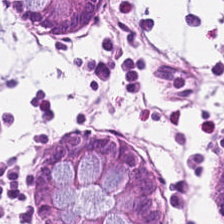H&E stain. The predominant tissue is non-neoplastic colon mucosa.
